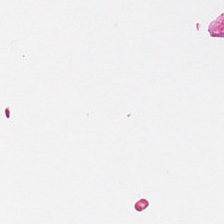H&E · WSI patch. No tissue present; background only.
